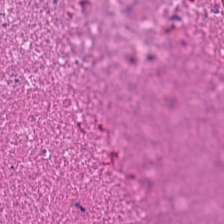H&E.
This patch shows cellular debris.
